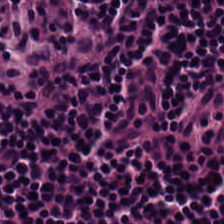Hematoxylin and eosin; 0.5 µm/px. Lymphocytic infiltrate.
